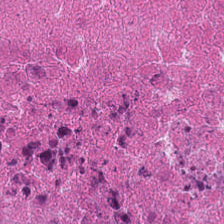H&E.
Q: What is the predominant tissue type?
A: This is debris.
